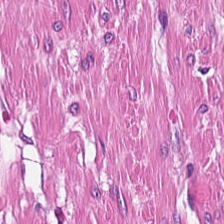Stain: H&E stain.
Preparation: FFPE tissue section.
Predominant tissue: smooth muscle.
